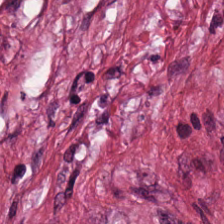0.5 µm per pixel. H&E stain — This patch shows tumor stroma.
